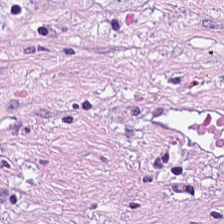Stain: hematoxylin and eosin.
Tissue: desmoplastic stroma.
